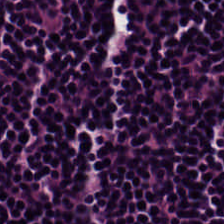Q: Classify this patch.
A: The field shows lymphocytes.
